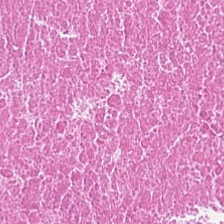0.5 µm per pixel; hematoxylin-and-eosin stained section — The tissue here is cellular debris.
